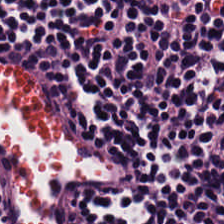Stain: hematoxylin-and-eosin stained section.
Tile size: 224×224 px patch.
Tissue class: lymphocytic infiltrate.
